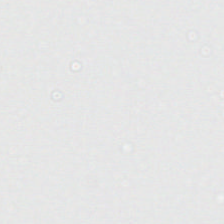Background — no tissue in this field.
